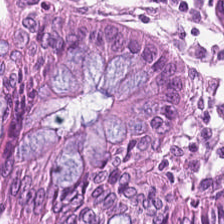H&E.
Impression — normal colonic mucosa.
